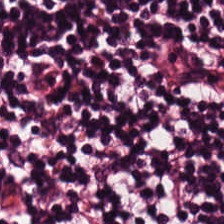The tissue type is lymphocyte aggregate.
